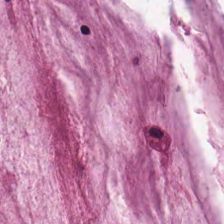Hematoxylin-and-eosin section: mucus.
